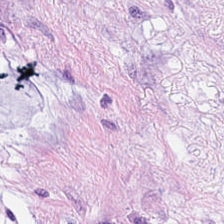H&E. The predominant tissue is mucus.
